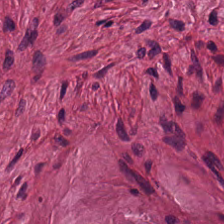H&E patch showing tumor stroma.
